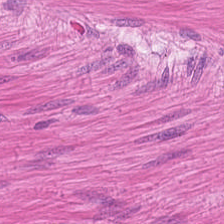H&E stain. Impression → smooth muscle.
